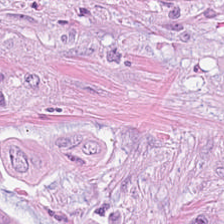Stain: H&E-stained tissue section.
Tissue: colorectal adenocarcinoma epithelium.
